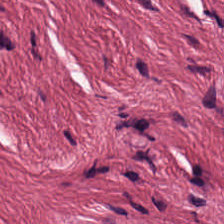Hematoxylin and eosin — Cancer-associated stroma.
